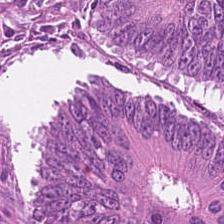The predominant tissue is colorectal adenocarcinoma epithelium.
